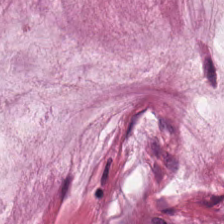H&E stain. Tissue class: extracellular mucin.
